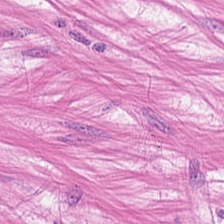Stain: H&E.
Acquisition: whole-slide-image patch.
Predominant tissue: smooth muscle.
